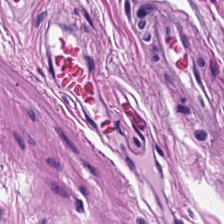Q: What is shown in this field?
A: The field shows muscularis.
